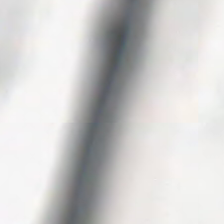This patch shows background (no tissue).
